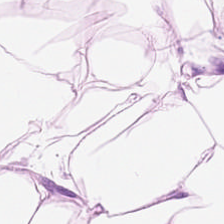Stain: hematoxylin-and-eosin stained section.
Resolution: 0.5 µm/px.
Tile size: 224×224 px tile.
Tissue: adipose tissue.
